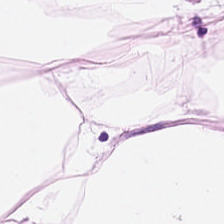Classification — adipocytes.
